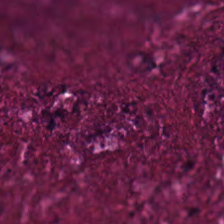H&E stain · 224×224 pixel tile — This field is cellular debris.
